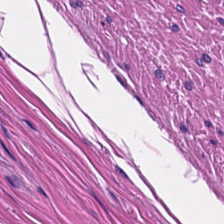224×224 pixel tile · hematoxylin-and-eosin stained section · brightfield.
Showing smooth-muscle tissue.
